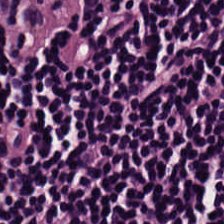Formalin-fixed paraffin-embedded section; hematoxylin and eosin; 224×224 px patch — This patch shows lymphocyte aggregate.
